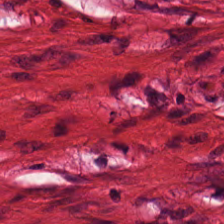224×224 px patch · brightfield · hematoxylin and eosin — Impression — muscularis.
